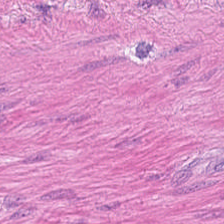H&E — Classification = muscularis.
